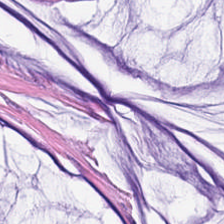Predominant tissue = mucus.
